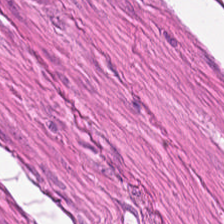H&E-stained tissue section — Predominantly smooth-muscle tissue.
